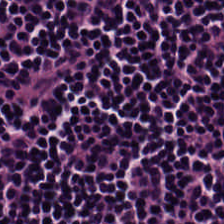Hematoxylin-and-eosin stained section · WSI patch.
The classification is lymphocytic infiltrate.
